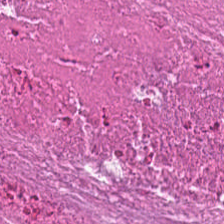Q: What is shown here?
A: It is necrotic debris.
